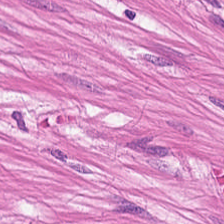224×224 px tile. H&E. Brightfield.
{"tissue_type": "smooth-muscle tissue"}
